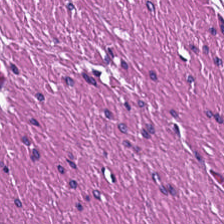H&E — Classification = smooth-muscle tissue.
